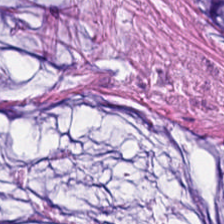H&E-stained tissue section.
{"tissue_type": "mucin"}
